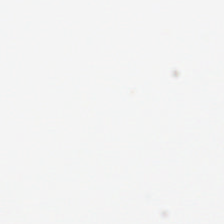H&E stain.
Classification = background (no tissue).
